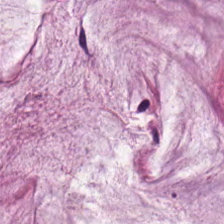H&E.
Predominantly extracellular mucin.
